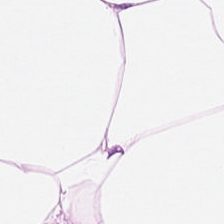Classification — adipocytes.
